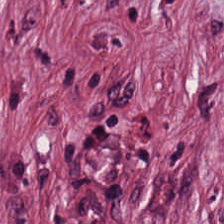Stain: H&E-stained tissue section.
Resolution: 20× equivalent magnification.
Preparation: FFPE.
Classification: tumor stroma.
